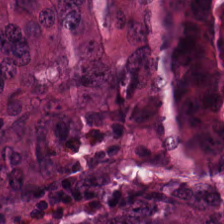Tissue type = colorectal adenocarcinoma epithelium.
